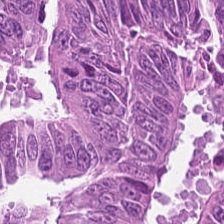Classification — tumor epithelium.
